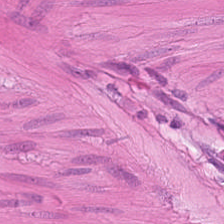H&E stain — Tissue type = smooth muscle.
